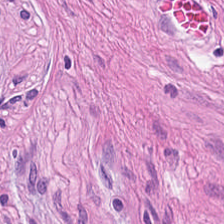Finding — muscularis.
